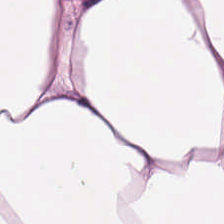H&E stain.
Showing fat tissue.
